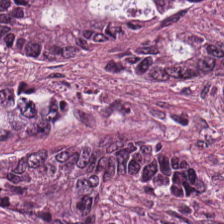H&E · FFPE — Q: What is shown in this field?
A: Malignant epithelium.
